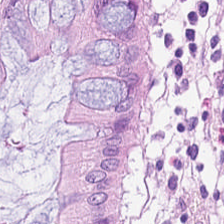H&E. FFPE tissue section. Brightfield microscopy. Classification — non-neoplastic colon mucosa.
